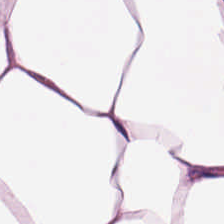Stain: H&E.
Predominant tissue: adipose.
